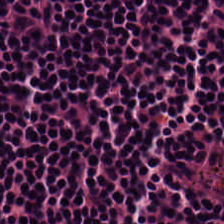H&E stain — Tissue: lymphocyte aggregate.
